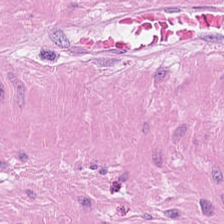WSI patch. H&E stain. Impression → smooth-muscle tissue.
